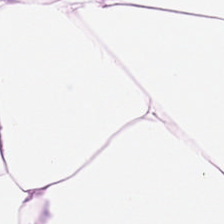224×224 pixel tile. Hematoxylin and eosin — Tissue: adipose tissue.
